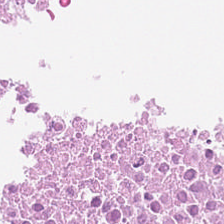Tissue class — cellular debris.
